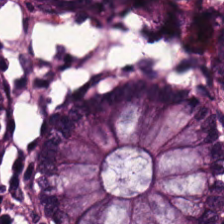Stain: hematoxylin-and-eosin stained section.
Resolution: 0.5 microns per pixel.
Classification: normal colon mucosa.
